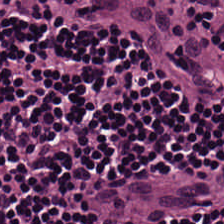224×224 px patch · hematoxylin and eosin · formalin-fixed paraffin-embedded section. Impression → lymphocytes.
